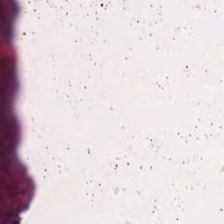H&E.
The tissue here is cellular debris.
